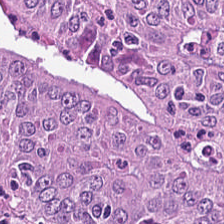H&E stain. 0.5 µm/px. Histology — malignant epithelium.
